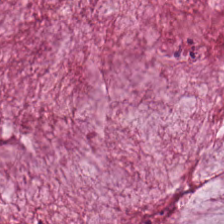H&E-stained tissue section.
{"tissue_type": "extracellular mucin"}
